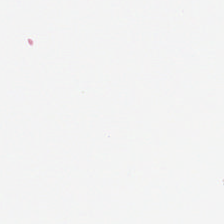Stain: hematoxylin-and-eosin stained section.
Acquisition: brightfield.
Content: background (no tissue).
